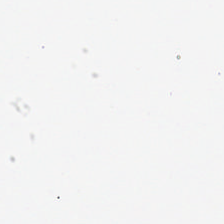H&E-stained tissue section. This field is background (no tissue).
